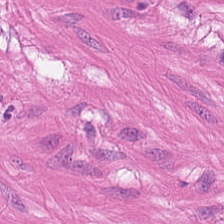H&E stain.
Tissue — smooth-muscle tissue.
